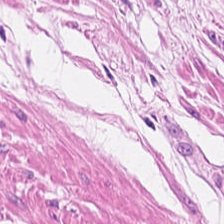Hematoxylin and eosin. WSI patch — Tissue class — muscularis.
